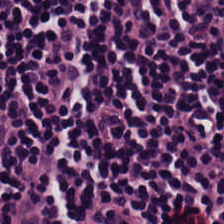FFPE. Hematoxylin and eosin.
Impression — lymphocytic infiltrate.
